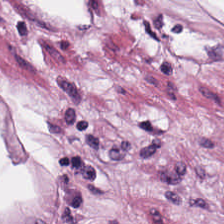Q: What is the predominant tissue type?
A: Fat tissue.
